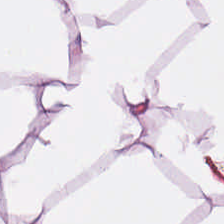224×224 px patch; hematoxylin-and-eosin stained section.
Tissue type — adipocytes.
